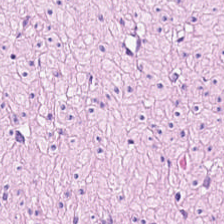Hematoxylin-and-eosin stained section — This field is smooth-muscle tissue.
